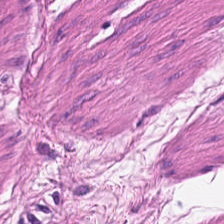Stain: hematoxylin-and-eosin stained section.
Tissue type: smooth-muscle tissue.
